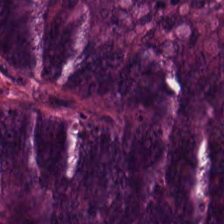Hematoxylin-and-eosin section: adenocarcinoma.
